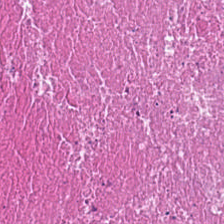H&E — debris.
